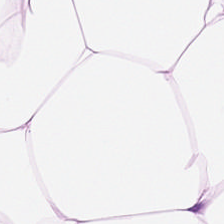H&E stain.
Tissue type = adipose tissue.
